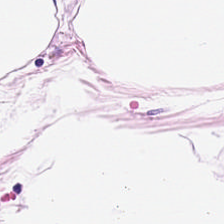H&E-stained section; the field shows adipose.
